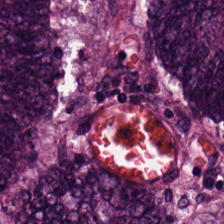H&E stain.
Predominantly malignant epithelium.
